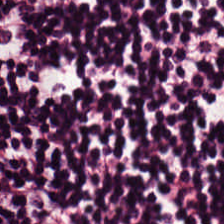The classification is lymphocytes.
